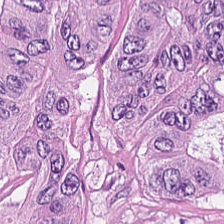Hematoxylin and eosin.
The predominant tissue is malignant epithelium.
